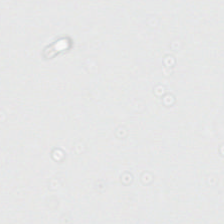Whole-slide-image patch. 0.5 µm per pixel. H&E stain — Q: Classify this patch.
A: Empty background.
